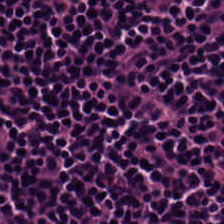Hematoxylin-and-eosin stained section.
This field is lymphocytic infiltrate.
